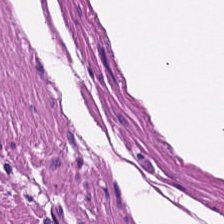224×224 px patch; H&E-stained tissue section; 0.5 µm/px — Impression → muscularis.
